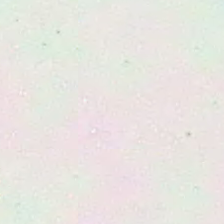0.5 µm per pixel; H&E stain.
Field content = background (no tissue).
